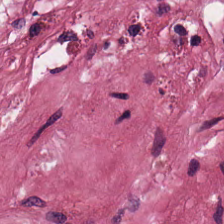H&E.
The tissue here is cancer-associated stroma.
